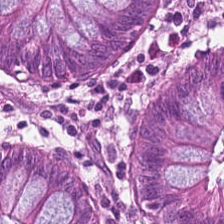The predominant tissue is benign colonic mucosa.
